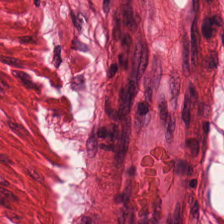Hematoxylin and eosin — Histology — smooth muscle.
